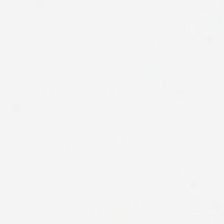Formalin-fixed paraffin-embedded section. 224×224 px tile. Hematoxylin-and-eosin stained section. No tissue present; background only.
